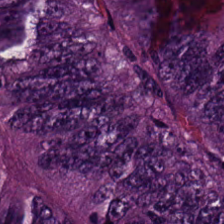H&E-stained tissue section. 224×224 pixel tile. Predominant tissue — malignant epithelium.
